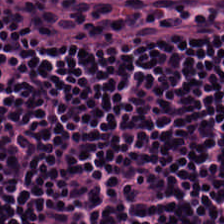Hematoxylin-and-eosin stained section · WSI patch · 0.5 microns per pixel.
Q: What is the predominant tissue type?
A: Lymphocyte aggregate.
